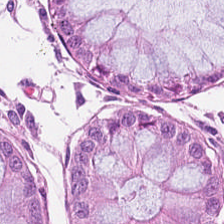Hematoxylin-and-eosin stained section.
This patch shows normal colonic mucosa.
